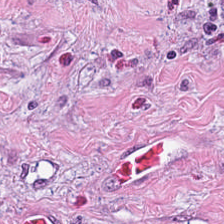Hematoxylin-and-eosin stained section. Showing cancer-associated stroma.
